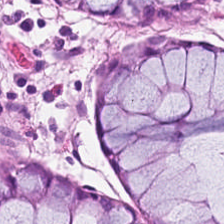H&E-stained tissue section; brightfield — Histology — normal colonic mucosa.
